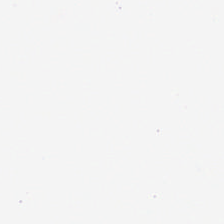H&E stain. No tissue present; background only.
